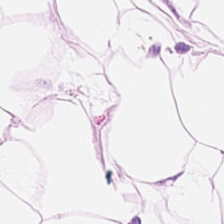Histology — fat tissue.
